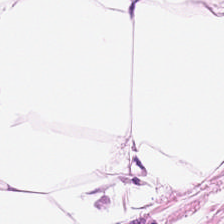Stain: H&E stain.
Tissue class: adipocytes.
